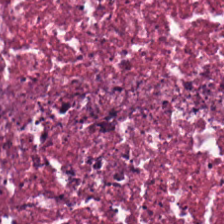Hematoxylin and eosin.
Tissue — necrotic debris.
